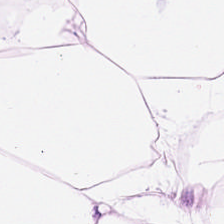H&E-stained tissue section.
The predominant tissue is adipose tissue.
